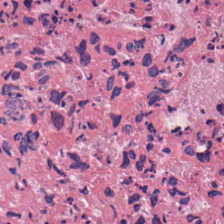H&E stain.
{"tissue_type": "necrotic debris"}
